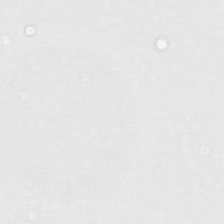Hematoxylin and eosin. Finding — background (no tissue).
